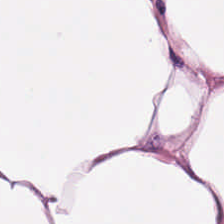224×224 pixel tile · H&E — Showing adipose.
